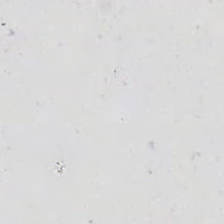Hematoxylin and eosin.
Empty field — background (no tissue).
